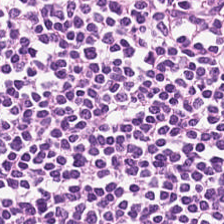H&E-stained tissue section — The tissue here is lymphocytic infiltrate.
